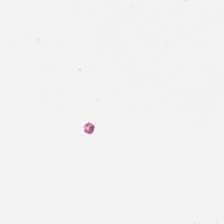Hematoxylin and eosin. No tissue.
